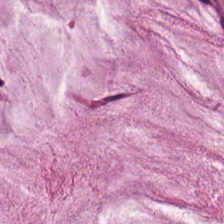Stain: H&E.
Predominant tissue: mucus.
